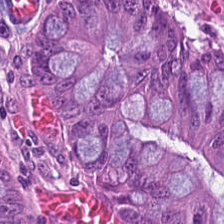H&E-stained tissue section.
Impression — adenocarcinoma.
